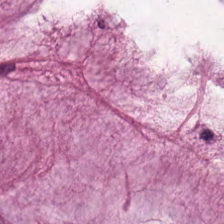H&E-stained tissue section · brightfield. Q: What is shown here?
A: This is extracellular mucin.
